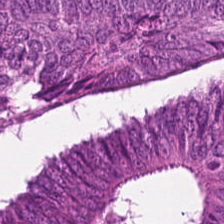H&E-stained tissue section — Malignant epithelium.
